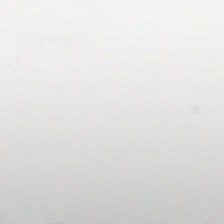H&E-stained tissue section — Classification — no tissue.
